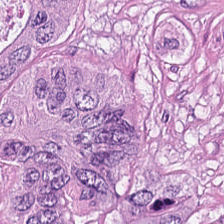Brightfield microscopy; H&E.
{"tissue_type": "malignant epithelium"}
